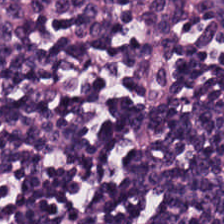Hematoxylin and eosin. Brightfield microscopy — {"tissue_type": "lymphocytes"}
